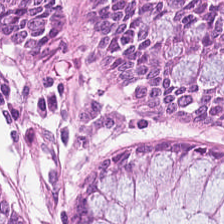Hematoxylin-and-eosin stained section — The tissue is normal colon mucosa.
